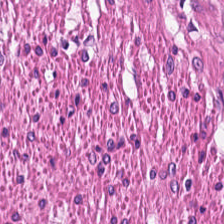H&E stain; 0.5 microns per pixel.
Showing smooth-muscle tissue.
